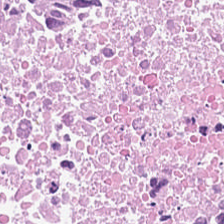Formalin-fixed paraffin-embedded section; H&E-stained tissue section — The tissue type is necrotic debris.
